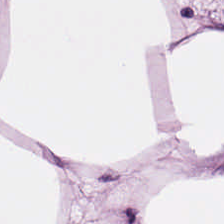Stain: H&E.
Acquisition: WSI patch.
Tissue: fat tissue.
